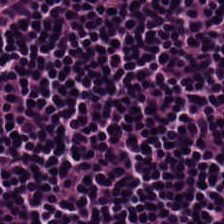0.5 microns per pixel. H&E stain — Classification = lymphoid infiltrate.
